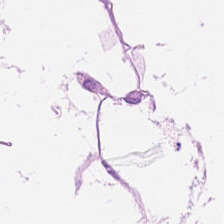Hematoxylin and eosin. Q: What tissue is shown?
A: The field shows fat tissue.
